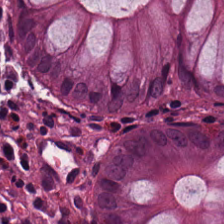H&E-stained tissue section. Predominantly benign colonic mucosa.
